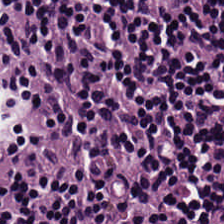Whole-slide-image patch; H&E. {"tissue_type": "lymphocytic infiltrate"}
